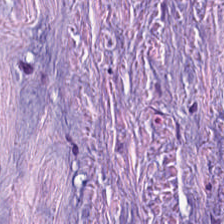Q: What is shown here?
A: It is desmoplastic stroma.
